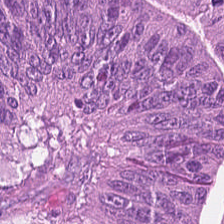Hematoxylin-and-eosin stained section · 224×224 px patch.
Q: What tissue type is shown here?
A: This is tumor epithelium.
